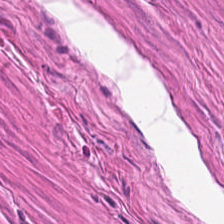Brightfield. 0.5 µm per pixel. H&E-stained tissue section.
Tissue — muscularis.
